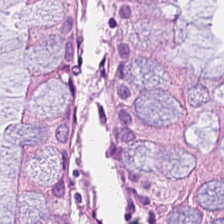H&E-stained tissue section — Tissue: benign colonic mucosa.
